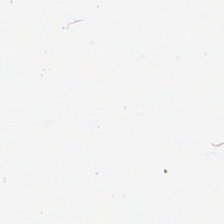The predominant tissue is adipocytes.
